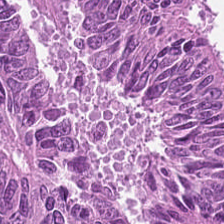224×224 pixel tile · H&E-stained tissue section · 0.5 microns per pixel.
Tissue = malignant epithelium.
